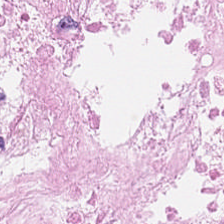Formalin-fixed paraffin-embedded section; 224×224 px tile; hematoxylin-and-eosin stained section — Q: What is shown in this field?
A: This is cellular debris.
